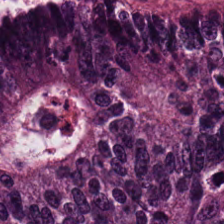Formalin-fixed paraffin-embedded section; H&E. Histology — adenocarcinoma.
